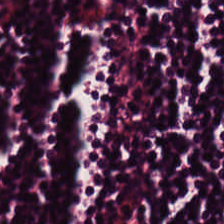H&E — lymphocyte aggregate.
